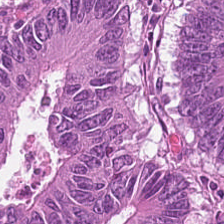H&E stain — The classification is malignant epithelium.
